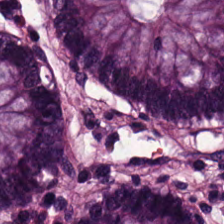H&E-stained tissue section — The classification is normal colonic mucosa.
